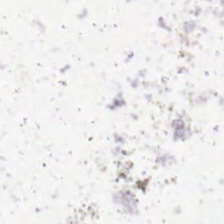H&E-stained tissue section · FFPE tissue section · 0.5 µm per pixel.
{"content": "background"}
